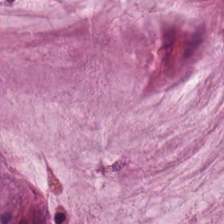H&E stain; formalin-fixed paraffin-embedded section. This patch shows mucin.
